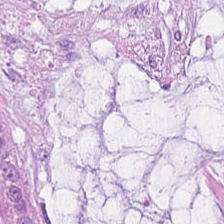{"tissue_type": "mucin"}
